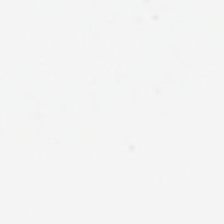H&E — Field content = empty background.
